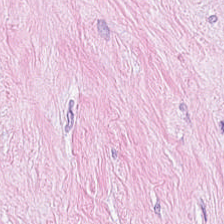224×224 px tile · H&E-stained tissue section · formalin-fixed paraffin-embedded section — The tissue here is tumor-associated stroma.
